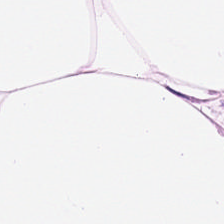Finding → fat tissue.
